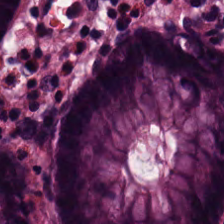Predominantly normal colonic mucosa.
